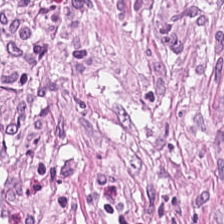H&E stain — Classification — desmoplastic stroma.
